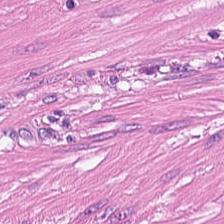H&E stain · FFPE — Smooth-muscle tissue.
